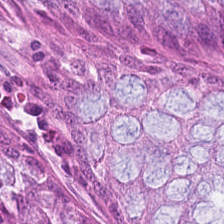The predominant tissue is normal colonic mucosa.
